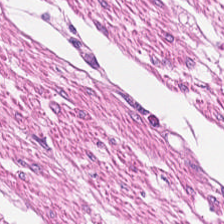H&E · FFPE.
{"tissue_type": "smooth muscle"}
